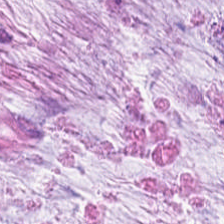Hematoxylin-and-eosin stained section. {"tissue_type": "mucin"}
